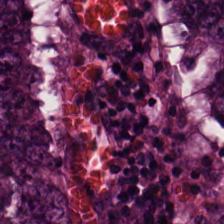FFPE; hematoxylin-and-eosin stained section. The tissue here is colorectal adenocarcinoma.
